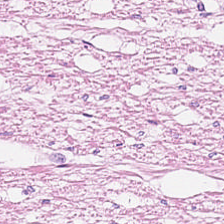Hematoxylin and eosin. Smooth-muscle tissue.
